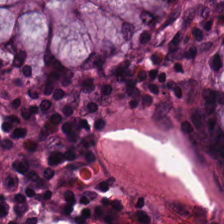Hematoxylin-and-eosin stained section; 0.5 µm/px; 224×224 px tile. Impression — normal colon mucosa.
